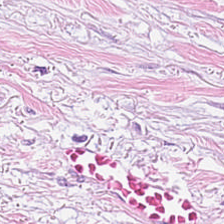Hematoxylin and eosin. Q: What tissue type is shown here?
A: Desmoplastic stroma.
